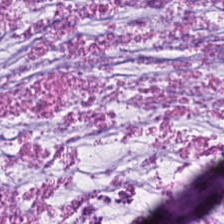Hematoxylin-and-eosin stained section — Q: What is the predominant tissue type?
A: The field shows mucin.
